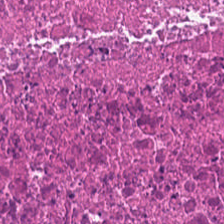H&E stain — Showing necrotic debris.
